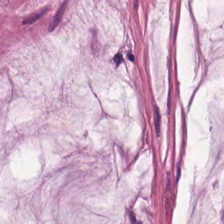H&E-stained tissue section — {"tissue_type": "mucin"}
